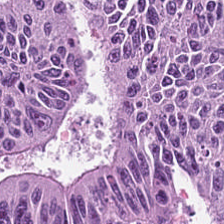0.5 µm per pixel · H&E stain.
Malignant epithelium.
